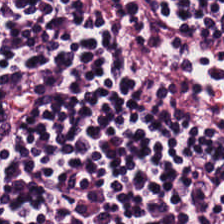Stain: H&E-stained tissue section.
Resolution: 20× equivalent magnification.
Tissue class: lymphocytes.
